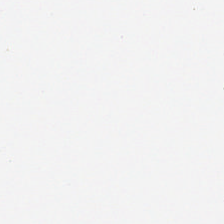H&E-stained tissue section.
Content = empty background.
